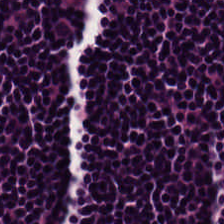Classification — lymphocytic infiltrate.
